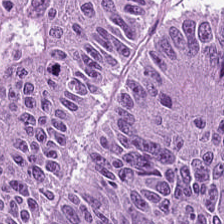H&E stain. Brightfield.
Q: What does this patch show?
A: The field shows malignant epithelium.
